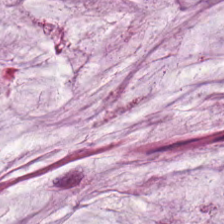H&E. The predominant tissue is extracellular mucin.
